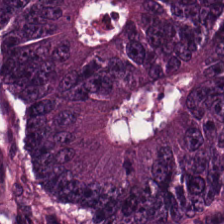Classification: adenocarcinoma.
